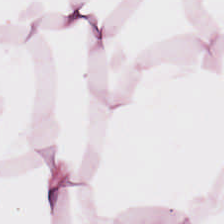H&E-stained section; the field shows adipose tissue.
